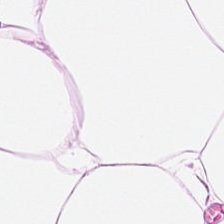H&E stain. Tissue: adipose.
